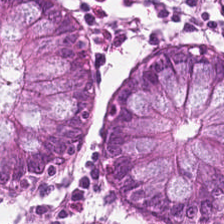{"tissue_type": "normal colon mucosa"}
